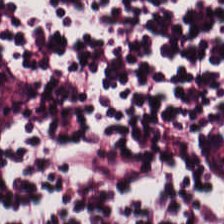FFPE · hematoxylin and eosin.
Impression → lymphocyte aggregate.
